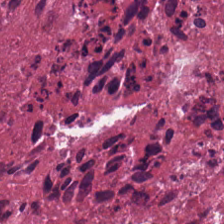Hematoxylin and eosin; 224×224 pixel tile.
Q: What type of tissue is this?
A: Debris.
